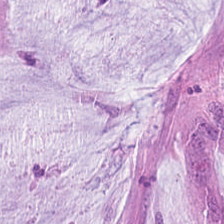H&E-stained tissue section · 20× equivalent magnification — Tissue: mucin.
